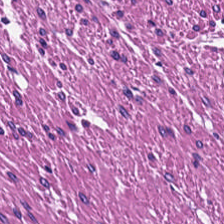H&E. Brightfield microscopy.
Q: What does this patch show?
A: Muscularis.
